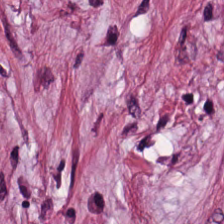{"tissue_type": "tumor stroma"}
